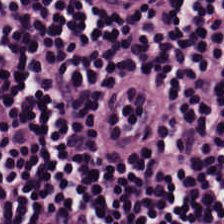H&E-stained tissue section.
Impression — lymphoid infiltrate.
